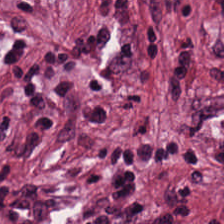Hematoxylin and eosin.
Showing desmoplastic stroma.
